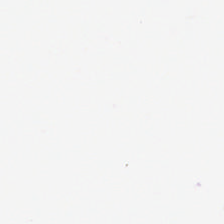FFPE; hematoxylin and eosin.
This patch shows empty background.
